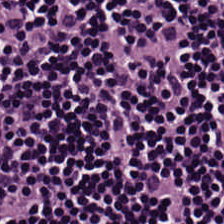Stain: hematoxylin and eosin.
Predominant tissue: lymphoid infiltrate.
